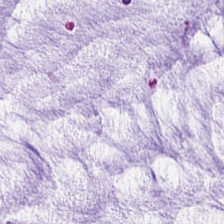0.5 µm/px · H&E-stained tissue section — Extracellular mucin.
